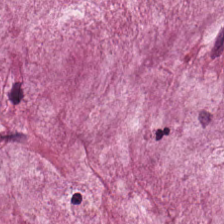H&E · whole-slide-image patch · 224×224 pixel tile.
{"tissue_type": "mucin"}
